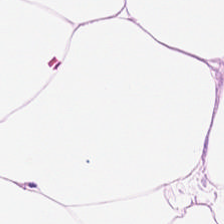Whole-slide-image patch; formalin-fixed paraffin-embedded section; H&E-stained tissue section. Q: What is the predominant tissue type?
A: This is adipose tissue.
